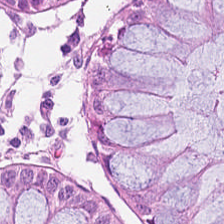Stain: H&E.
Tissue: normal colonic mucosa.
